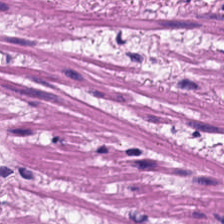Hematoxylin-and-eosin stained section; 0.5 µm per pixel; 224×224 px tile. Muscularis.
